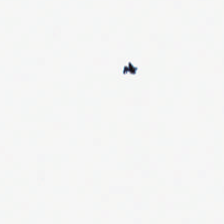H&E stain. FFPE tissue section. Q: What does this patch show?
A: It is background.
